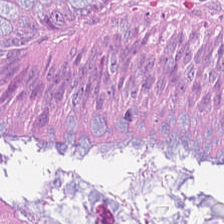{"tissue_type": "malignant epithelium"}
